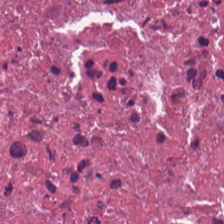H&E stain · 20× equivalent magnification — Tissue type = necrotic debris.
